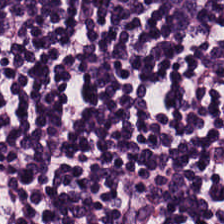H&E stain. This patch shows lymphoid infiltrate.
